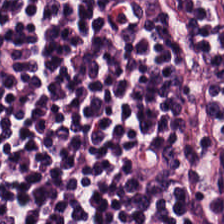The tissue is lymphocytic infiltrate.
